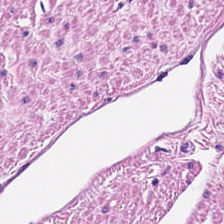Formalin-fixed paraffin-embedded section · hematoxylin and eosin · 224×224 px tile.
Showing smooth-muscle tissue.
